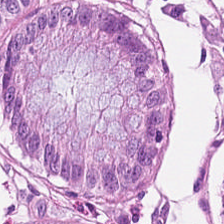224×224 px patch · H&E. Q: What tissue type is shown here?
A: The field shows normal colon mucosa.
